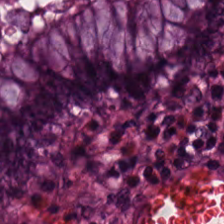Predominant tissue = normal colonic mucosa.
